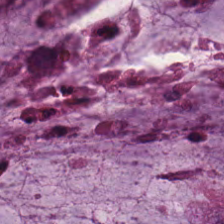H&E-stained tissue section showing mucus.
